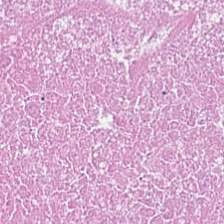Tissue class: debris.
